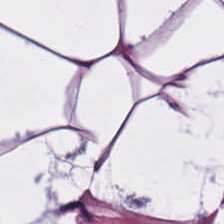Tissue = adipose tissue.
